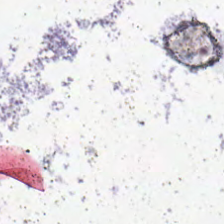224×224 px patch · H&E-stained tissue section. Q: What is shown here?
A: It is empty background.
